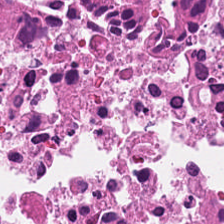Showing cellular debris.
